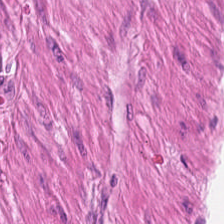Hematoxylin and eosin. 224×224 px tile. Brightfield. Q: What tissue is shown?
A: Smooth muscle.
